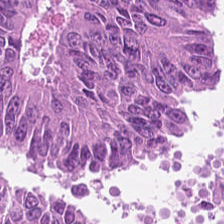Q: Identify the tissue.
A: This is colorectal adenocarcinoma epithelium.
